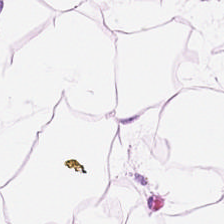Hematoxylin-and-eosin stained section; 20× equivalent magnification.
Q: What is shown in this field?
A: This is adipocytes.
